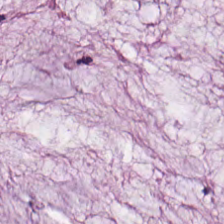Q: Classify this patch.
A: Extracellular mucin.
